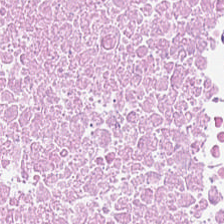Brightfield microscopy. Hematoxylin-and-eosin stained section.
The classification is necrotic debris.
